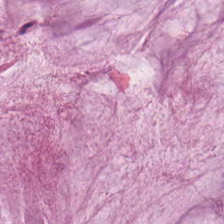Hematoxylin-and-eosin stained section.
The predominant tissue is mucus.
